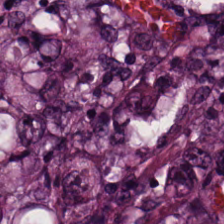224×224 px tile. Hematoxylin-and-eosin stained section. Brightfield microscopy.
Tissue: tumor epithelium.
